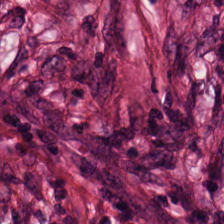The predominant tissue is tumor-associated stroma.
